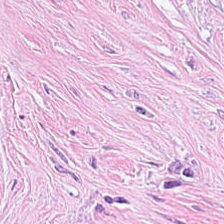Hematoxylin and eosin. 0.5 µm/px.
Q: Identify the tissue.
A: Tumor stroma.
